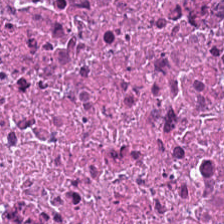Hematoxylin-and-eosin stained section — Q: What is shown in this field?
A: It is debris.
